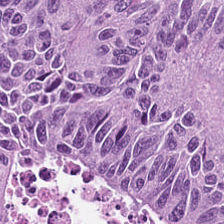Q: What type of tissue is this?
A: The field shows tumor epithelium.
